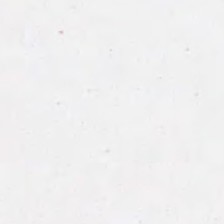Hematoxylin and eosin. Histology → background.
